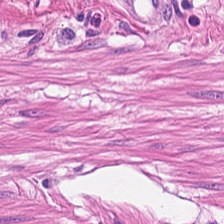Hematoxylin and eosin. Predominantly smooth-muscle tissue.
